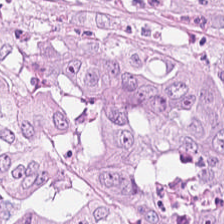H&E stain.
Predominant tissue — malignant epithelium.
